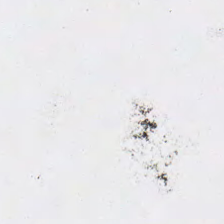FFPE tissue section. 224×224 px patch. H&E.
This field is background (no tissue).
